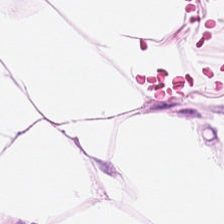Hematoxylin and eosin; FFPE tissue section. Q: What does this patch show?
A: It is fat tissue.
